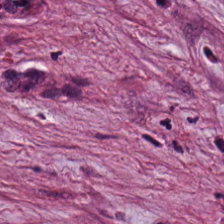0.5 microns per pixel · H&E. Tissue class = tumor-associated stroma.
